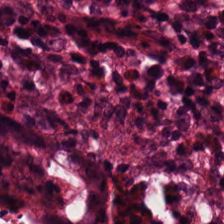H&E stain — The tissue here is benign colonic mucosa.
